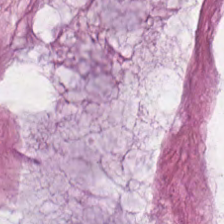0.5 µm/px; H&E. This patch shows mucin.
